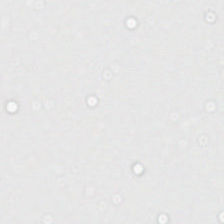{"content": "no tissue"}
